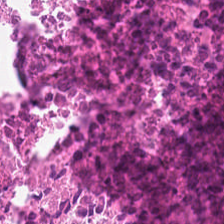Stain: H&E-stained tissue section.
Classification: necrotic debris.
